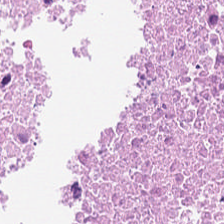H&E.
Q: What tissue is shown?
A: This is necrotic debris.
